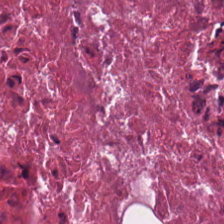Q: What is shown in this field?
A: Necrotic debris.
